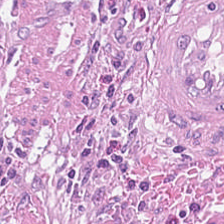H&E stain. 0.5 µm/px. 224×224 pixel tile — Tissue type: tumor stroma.
